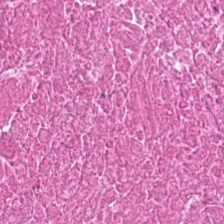Hematoxylin and eosin. Finding — necrotic debris.
